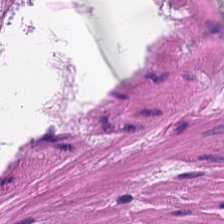Q: What tissue is shown?
A: This is smooth-muscle tissue.
